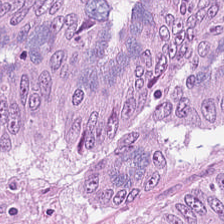Whole-slide-image patch · H&E — Impression — malignant epithelium.
